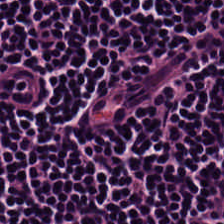This field is lymphocytic infiltrate.
